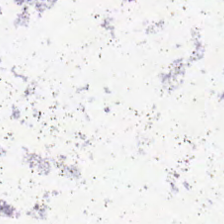Hematoxylin and eosin. Formalin-fixed paraffin-embedded section. Brightfield microscopy — The content is empty background.
